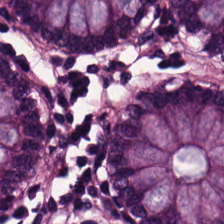H&E — The classification is benign colonic mucosa.
